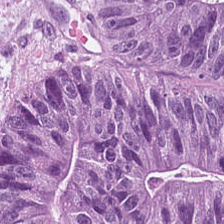H&E-stained tissue section — Showing colorectal adenocarcinoma epithelium.
